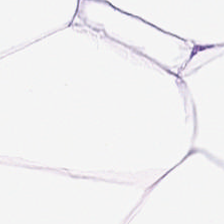Predominantly adipocytes.
